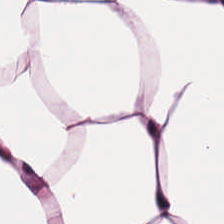H&E-stained tissue section. 20× equivalent magnification. This field is adipose tissue.
